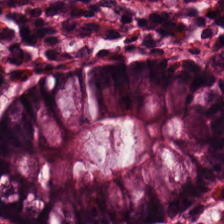Hematoxylin-and-eosin section: non-neoplastic colon mucosa.
